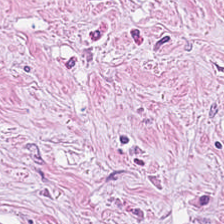H&E-stained tissue section. This field is tumor stroma.
